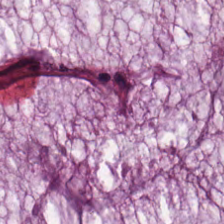H&E-stained tissue section. Tissue type = mucus.
